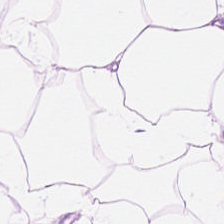Hematoxylin-and-eosin section: adipose tissue.
